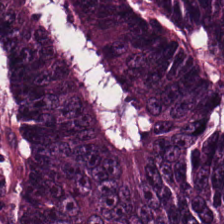Hematoxylin-and-eosin stained section.
Q: What does this patch show?
A: It is colorectal adenocarcinoma epithelium.
